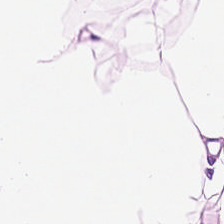Stain: H&E.
Tile size: 224×224 px patch.
Resolution: 0.5 microns per pixel.
Tissue: adipose.
